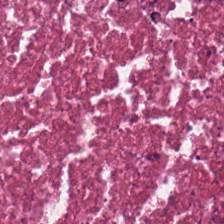H&E-stained tissue section showing necrotic debris.
